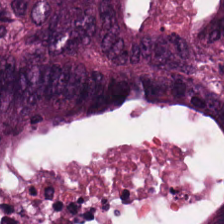H&E stain.
This patch shows malignant epithelium.
